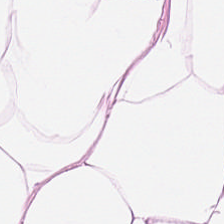H&E-stained tissue section. FFPE. Whole-slide-image patch — Tissue = adipose.
